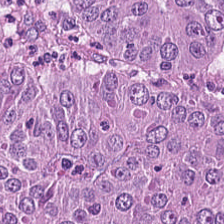224×224 px tile. H&E — This patch shows adenocarcinoma.
